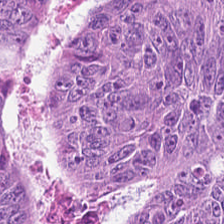Colorectal adenocarcinoma.
